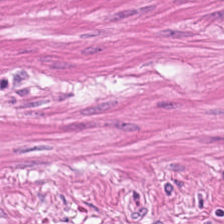Predominant tissue — smooth-muscle tissue.
